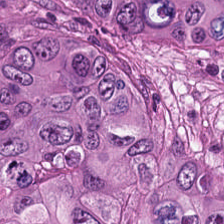FFPE; 0.5 µm/px; hematoxylin-and-eosin stained section.
The tissue type is colorectal adenocarcinoma epithelium.
